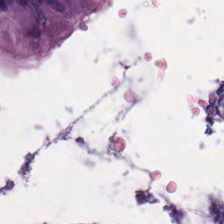H&E-stained tissue section; brightfield microscopy.
{"tissue_type": "non-neoplastic colon mucosa"}
